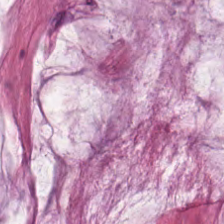Stain: H&E.
Acquisition: brightfield microscopy.
Tissue type: mucus.
